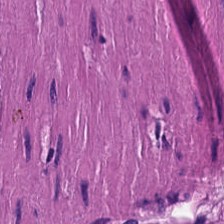Histology → smooth-muscle tissue.
